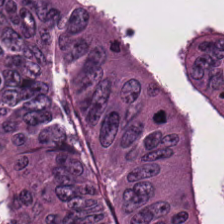224×224 pixel tile. Hematoxylin-and-eosin stained section — {"tissue_type": "colorectal adenocarcinoma epithelium"}
